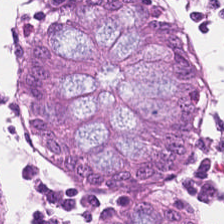The tissue is benign colonic mucosa.
